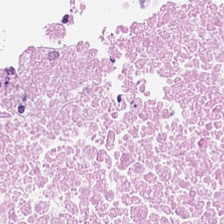0.5 µm per pixel. FFPE tissue section. H&E stain. Tissue = cellular debris.
